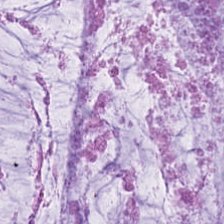224×224 px tile. 0.5 microns per pixel. H&E stain. The tissue here is mucus.
